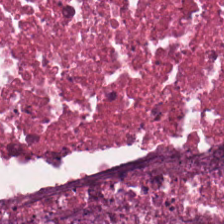Hematoxylin-and-eosin stained section.
The predominant tissue is necrotic debris.
